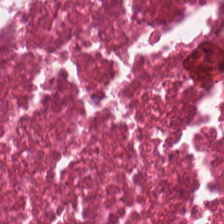224×224 px patch · H&E stain — Predominant tissue — necrotic debris.
